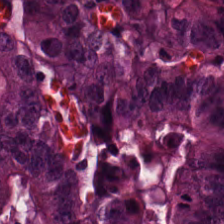Hematoxylin and eosin.
The predominant tissue is adenocarcinoma.
